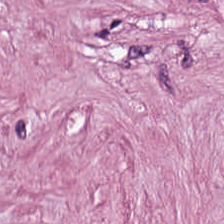FFPE tissue section. 0.5 µm/px. H&E stain.
Tissue: desmoplastic stroma.
